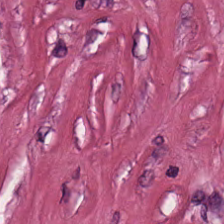H&E-stained tissue section.
The tissue here is tumor stroma.
